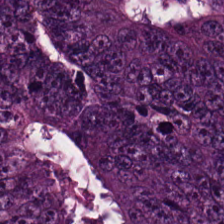Showing malignant epithelium.
